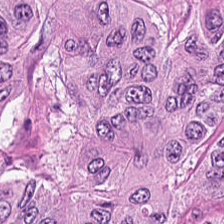Hematoxylin-and-eosin stained section — Histology → malignant epithelium.
